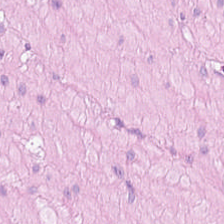Q: What does this patch show?
A: The field shows smooth-muscle tissue.
